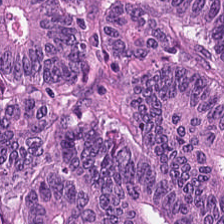Q: What tissue is shown?
A: The field shows tumor epithelium.
